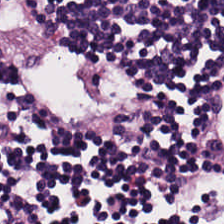Hematoxylin-and-eosin stained section.
Lymphoid infiltrate.
